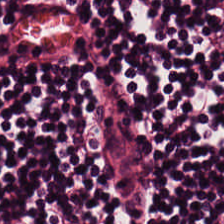0.5 µm per pixel · 224×224 px patch · H&E.
The tissue type is lymphoid infiltrate.
